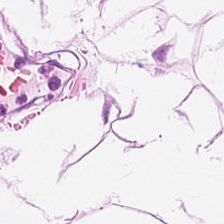20× equivalent magnification · FFPE · H&E-stained tissue section.
Adipose.
